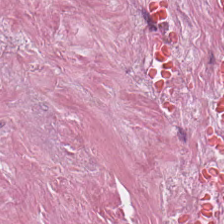H&E-stained tissue section — Predominantly tumor stroma.
